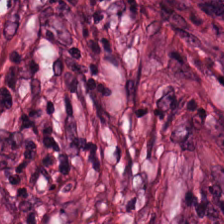0.5 µm/px. 224×224 px patch. H&E-stained tissue section — Tissue class: tumor stroma.
